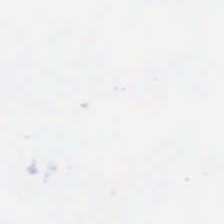Hematoxylin-and-eosin stained section. 0.5 microns per pixel — No tissue present; background only.
